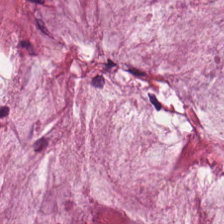Tissue = extracellular mucin.
